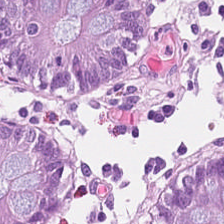0.5 µm/px; brightfield; H&E stain.
The tissue class is non-neoplastic colon mucosa.
